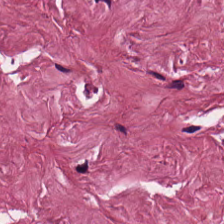Brightfield microscopy. H&E stain. 0.5 microns per pixel. Q: What is shown in this field?
A: Tumor-associated stroma.
